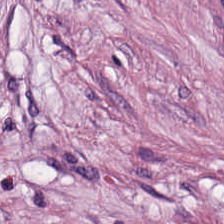Hematoxylin and eosin; formalin-fixed paraffin-embedded section; 20× equivalent magnification.
Q: Classify this patch.
A: Tumor stroma.
